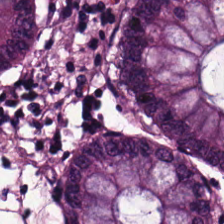Hematoxylin and eosin.
Q: What type of tissue is this?
A: Normal colonic mucosa.
